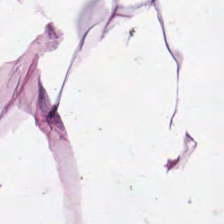Hematoxylin-and-eosin stained section. Q: What tissue type is shown here?
A: Adipocytes.
